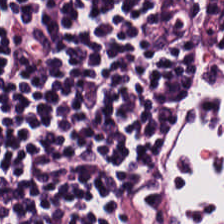H&E stain · 0.5 microns per pixel.
Tissue class = lymphoid infiltrate.
